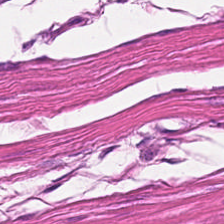Brightfield · H&E stain — Impression — muscularis.
